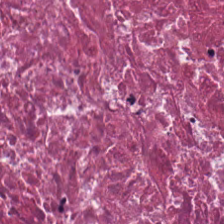{"tissue_type": "cellular debris"}
